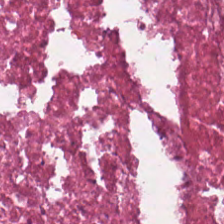H&E stain. WSI patch. FFPE tissue section.
Tissue: necrotic debris.
